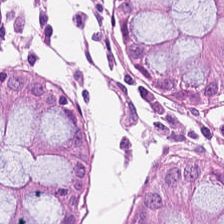The tissue here is normal colon mucosa.
